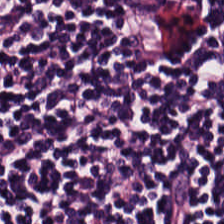Classification: lymphocytic infiltrate.
